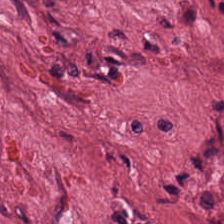Stain: H&E.
Predominant tissue: cancer-associated stroma.
